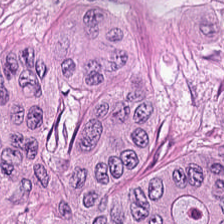Colorectal adenocarcinoma epithelium.
